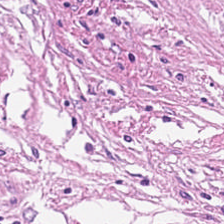FFPE; hematoxylin and eosin; 0.5 µm/px — Predominantly tumor-associated stroma.
